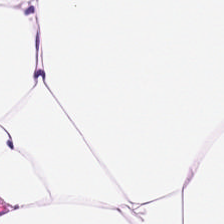Stain: hematoxylin-and-eosin stained section.
Tile size: 224×224 px tile.
Acquisition: brightfield.
Tissue: adipose tissue.
